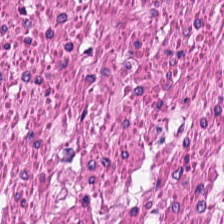This patch shows smooth-muscle tissue.
